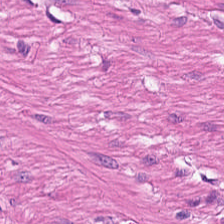H&E-stained tissue section; 224×224 px patch.
Q: What type of tissue is this?
A: Smooth-muscle tissue.
